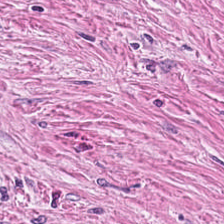0.5 microns per pixel; H&E stain; 224×224 pixel tile.
Tissue type: desmoplastic stroma.
